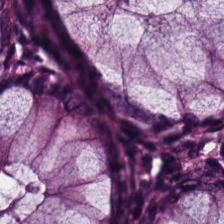Predominant tissue = normal colonic mucosa.
